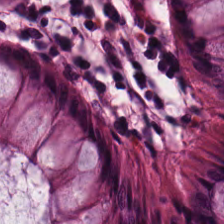Hematoxylin-and-eosin stained section; formalin-fixed paraffin-embedded section. The tissue class is normal colon mucosa.
